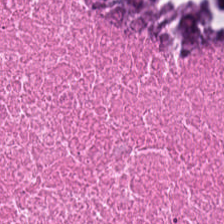H&E — cellular debris.
